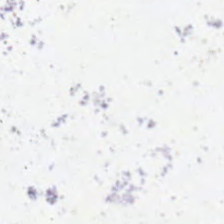FFPE tissue section; H&E stain.
No tissue present; background only.
